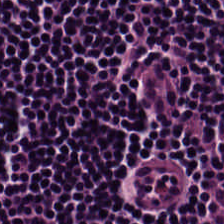Brightfield. H&E-stained tissue section. Tissue type = lymphocyte aggregate.
